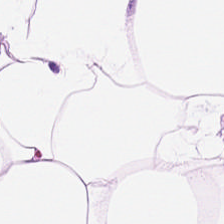Stain: H&E stain.
Tissue class: adipose tissue.
